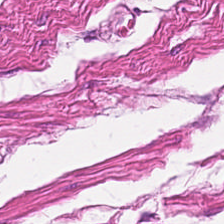H&E stain; brightfield microscopy.
Classification — muscularis.
